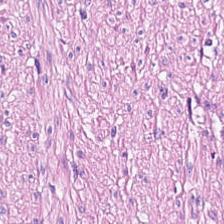H&E stain — Finding — smooth-muscle tissue.
